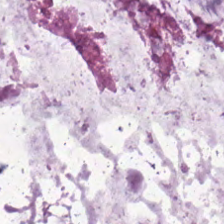224×224 px tile. H&E-stained tissue section. 0.5 µm/px — The tissue type is mucin.
